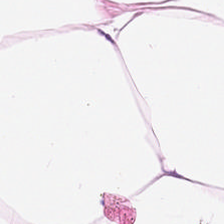Predominantly fat tissue.
